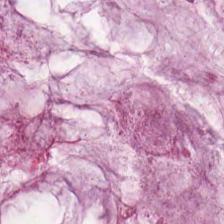H&E; brightfield microscopy. This patch shows mucin.
